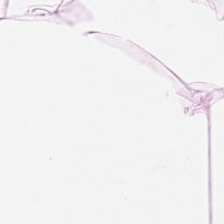0.5 microns per pixel · H&E stain.
Q: What is the predominant tissue type?
A: It is fat tissue.
